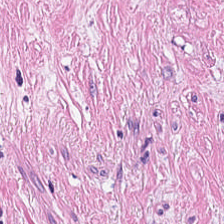Stain: hematoxylin and eosin.
Predominant tissue: cancer-associated stroma.
